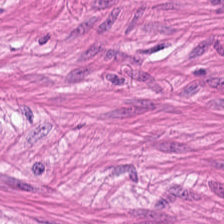Hematoxylin and eosin.
Finding — muscularis.
